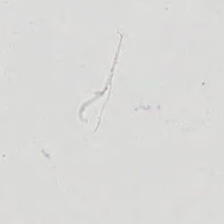H&E-stained tissue section.
This patch shows no tissue.
